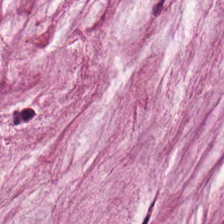Hematoxylin-and-eosin stained section — Q: Identify the tissue.
A: It is mucin.
